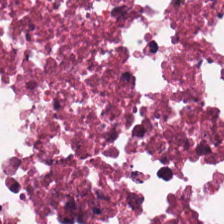H&E stain.
Necrotic debris.
